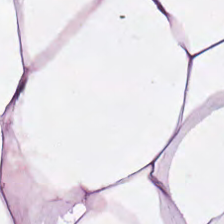H&E-stained tissue section.
This field is fat tissue.
